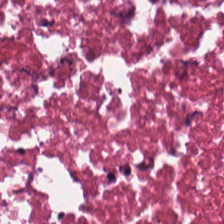H&E-stained tissue section. The predominant tissue is cellular debris.
